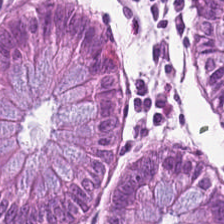Hematoxylin-and-eosin stained section.
Tissue class: normal colon mucosa.
